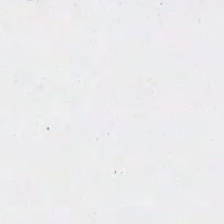Stain: hematoxylin-and-eosin stained section.
Preparation: FFPE.
Tile size: 224×224 px patch.
Classification: no tissue.
